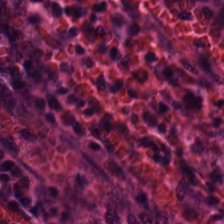FFPE. 224×224 px tile. H&E. Q: Classify this patch.
A: It is normal colon mucosa.
